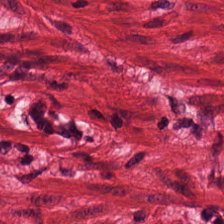Hematoxylin and eosin — Finding → muscularis.
